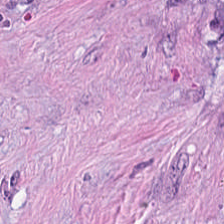H&E stain — The tissue class is tumor stroma.
